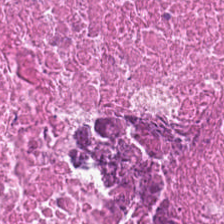H&E stain · 0.5 microns per pixel.
This patch shows debris.
